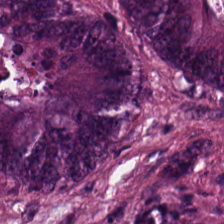Hematoxylin-and-eosin stained section.
{"tissue_type": "colorectal adenocarcinoma epithelium"}
